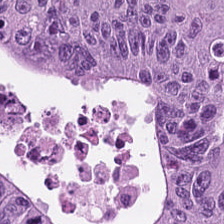0.5 µm/px · 224×224 pixel tile · H&E stain.
{"tissue_type": "tumor epithelium"}
